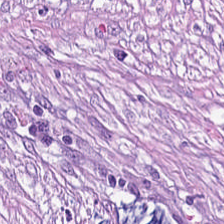Stain: hematoxylin-and-eosin stained section.
Acquisition: brightfield microscopy.
Tissue: tumor stroma.
